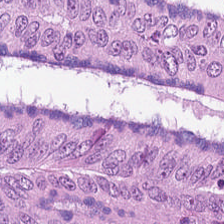Stain: hematoxylin-and-eosin stained section.
Preparation: formalin-fixed paraffin-embedded section.
Resolution: 0.5 microns per pixel.
Predominant tissue: tumor epithelium.
